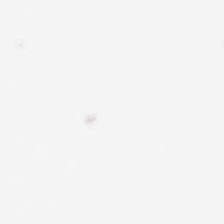Histology → empty background.
